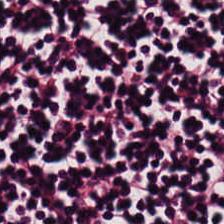0.5 µm/px. Hematoxylin-and-eosin stained section. This patch shows lymphocytes.
